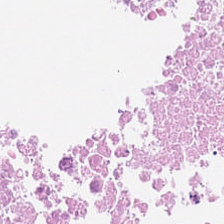Hematoxylin-and-eosin stained section — Q: What does this patch show?
A: The field shows necrotic debris.
